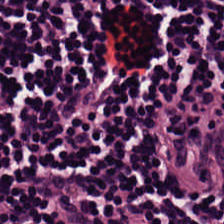20× equivalent magnification. FFPE. H&E — This patch shows lymphocyte aggregate.
